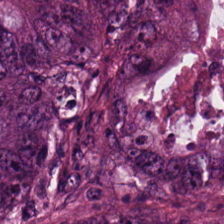Stain: H&E.
Tissue: colorectal adenocarcinoma epithelium.
